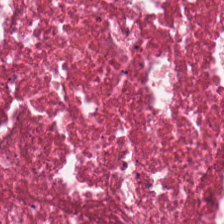The predominant tissue is necrotic debris.
